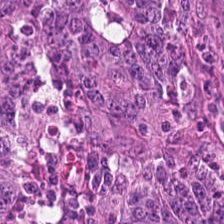FFPE tissue section. 224×224 px patch. H&E stain.
Classification = malignant epithelium.
